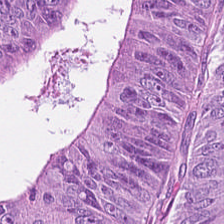Q: What type of tissue is this?
A: It is adenocarcinoma.
